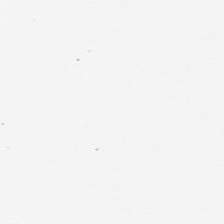Brightfield microscopy · H&E-stained tissue section. Background — no tissue in this field.
